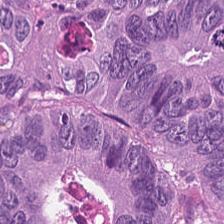FFPE tissue section. H&E-stained tissue section — Classification — malignant epithelium.
